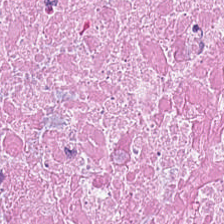H&E — Necrotic debris.
